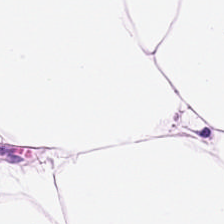H&E — Showing adipocytes.
